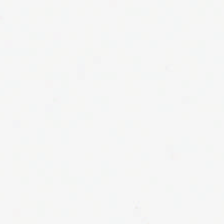Background (no tissue).
